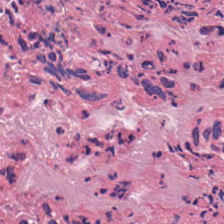Hematoxylin and eosin.
Showing debris.
